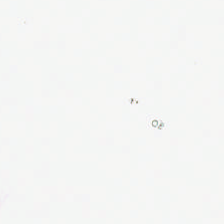Stain: H&E.
Preparation: FFPE tissue section.
Field content: no tissue.
